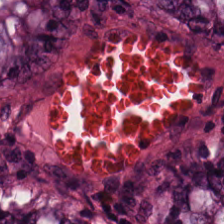Hematoxylin-and-eosin stained section; formalin-fixed paraffin-embedded section; 224×224 px tile. Q: What does this patch show?
A: Benign colonic mucosa.
